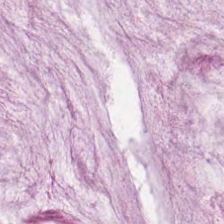Q: What type of tissue is this?
A: The field shows extracellular mucin.
